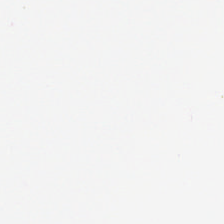Hematoxylin and eosin. Q: What is shown in this field?
A: This is empty background.
